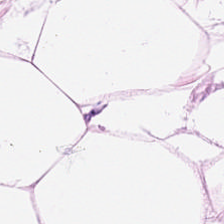H&E stain; 0.5 µm per pixel.
Finding → fat tissue.
